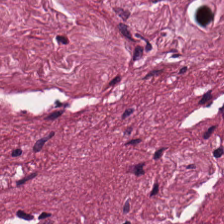H&E.
Q: What is the predominant tissue type?
A: This is cancer-associated stroma.
